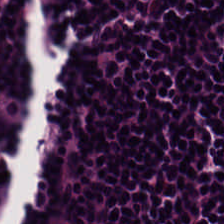H&E stain.
Predominant tissue — lymphocytes.
